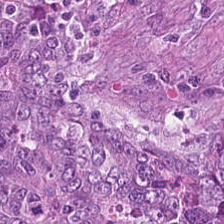Hematoxylin-and-eosin stained section. Brightfield — The predominant tissue is colorectal adenocarcinoma epithelium.
